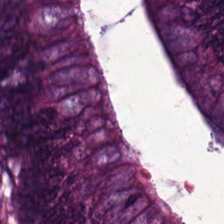Stain: H&E.
Resolution: 20× equivalent magnification.
Predominant tissue: colorectal adenocarcinoma.
